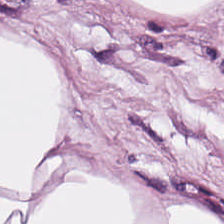H&E-stained tissue section. 20× equivalent magnification. {"tissue_type": "adipocytes"}
